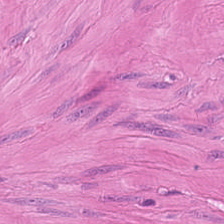H&E — Classification — muscularis.
